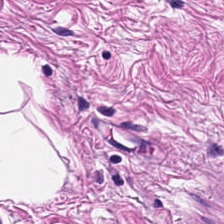Formalin-fixed paraffin-embedded section; H&E-stained tissue section; brightfield.
The tissue is smooth-muscle tissue.
